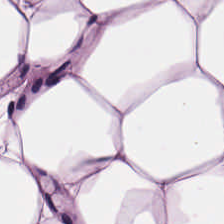20× equivalent magnification · hematoxylin and eosin.
The tissue is adipocytes.
